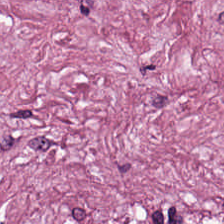Hematoxylin-and-eosin stained section.
This field is desmoplastic stroma.
